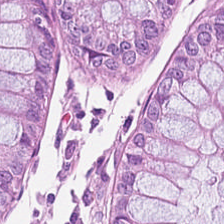Hematoxylin-and-eosin stained section.
Showing benign colonic mucosa.
